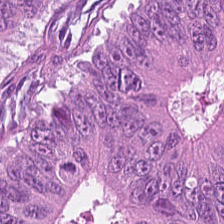FFPE tissue section. 0.5 µm per pixel. H&E — The tissue is adenocarcinoma.
